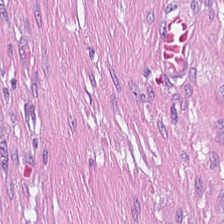FFPE tissue section; hematoxylin and eosin; 20× equivalent magnification.
The tissue here is tumor-associated stroma.
